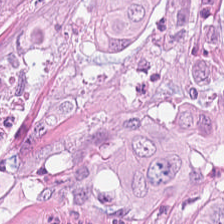H&E stain.
Showing adenocarcinoma.
